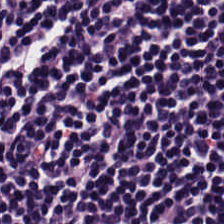Predominantly lymphoid infiltrate.
